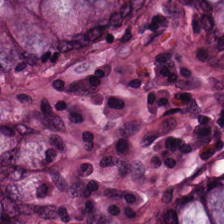H&E-stained tissue section — Q: What is shown here?
A: The field shows normal colon mucosa.
